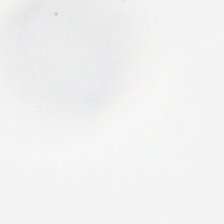H&E — Background.
